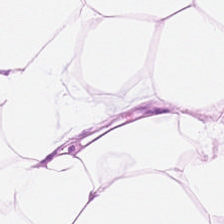The predominant tissue is adipose.
